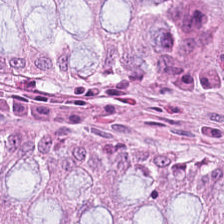Hematoxylin-and-eosin stained section.
Finding → non-neoplastic colon mucosa.
